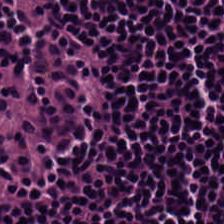H&E-stained tissue section · brightfield — This field is lymphocytes.
